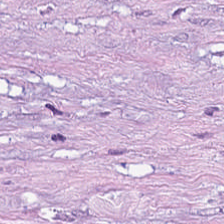H&E.
Tissue = tumor stroma.
